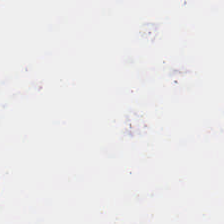H&E. Brightfield microscopy.
Q: What is shown here?
A: It is no tissue.
